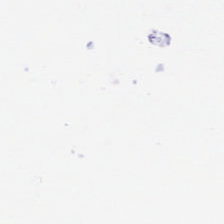H&E-stained tissue section; WSI patch — Q: What is shown in this field?
A: This is no tissue.
